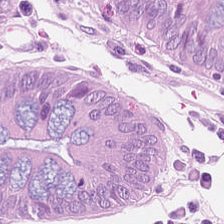Tissue class = normal colon mucosa.
